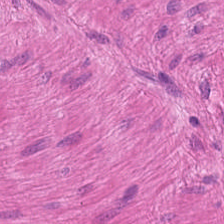0.5 µm/px; WSI patch; hematoxylin and eosin.
Q: What type of tissue is this?
A: This is smooth-muscle tissue.
